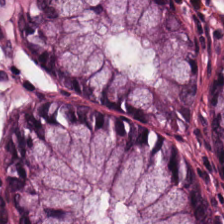Stain: H&E.
Acquisition: brightfield microscopy.
Classification: benign colonic mucosa.
